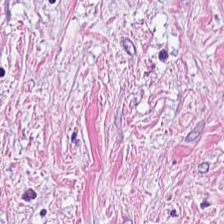Hematoxylin-and-eosin stained section — Finding → cancer-associated stroma.
